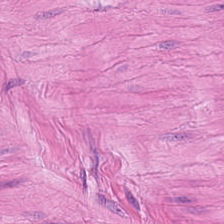Brightfield microscopy. H&E-stained tissue section — Histology → smooth-muscle tissue.
